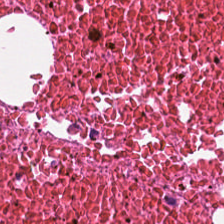Hematoxylin and eosin.
Q: What tissue type is shown here?
A: The field shows necrotic debris.
